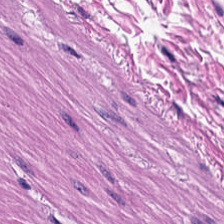H&E-stained tissue section — Predominant tissue — muscularis.
